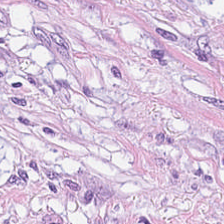Tissue type — mucus.
